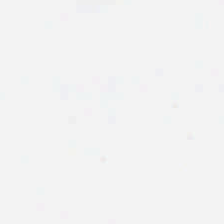Stain: H&E.
Preparation: formalin-fixed paraffin-embedded section.
Resolution: 0.5 microns per pixel.
Classification: background (no tissue).
